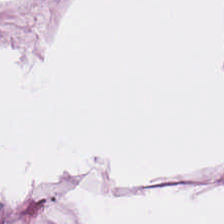H&E-stained tissue section showing adipocytes.
